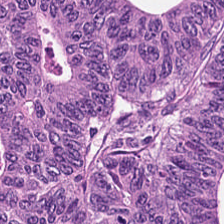Hematoxylin and eosin — Predominantly malignant epithelium.
